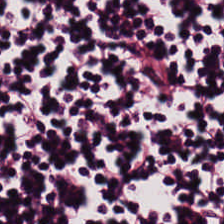Lymphoid infiltrate.
